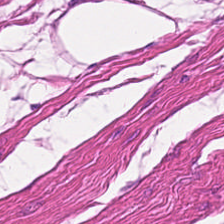Q: Classify this patch.
A: Smooth-muscle tissue.
